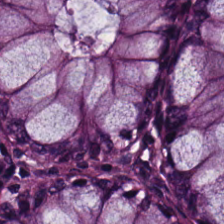H&E-stained tissue section. Whole-slide-image patch.
The tissue class is non-neoplastic colon mucosa.
